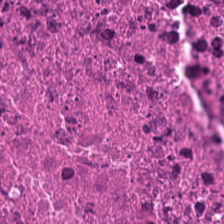H&E-stained tissue section.
Predominantly necrotic debris.
